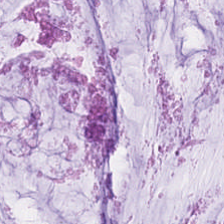Brightfield. H&E stain. Q: What type of tissue is this?
A: It is mucus.
